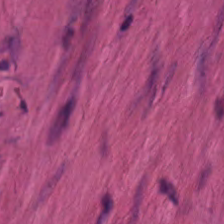Predominant tissue = muscularis.
